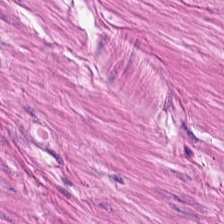H&E-stained tissue section.
This patch shows smooth-muscle tissue.
